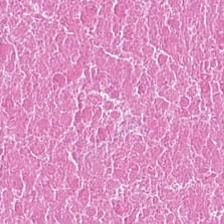FFPE · hematoxylin and eosin · whole-slide-image patch — The predominant tissue is debris.
